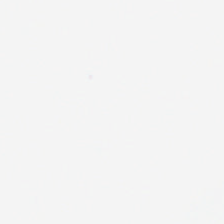The field content is background (no tissue).
